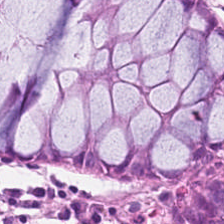Stain: H&E stain.
Predominant tissue: normal colon mucosa.
